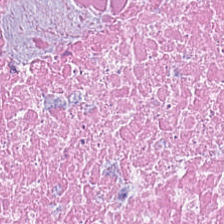H&E stain — Tissue type — cellular debris.
